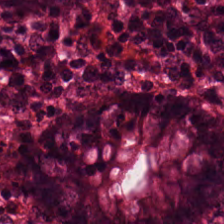Formalin-fixed paraffin-embedded section. Brightfield. H&E — Tissue type: normal colonic mucosa.
